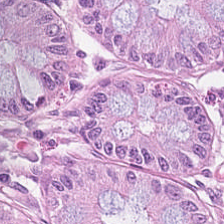H&E-stained tissue section; brightfield microscopy.
Q: What tissue type is shown here?
A: It is normal colonic mucosa.
